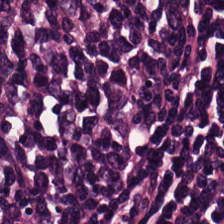Brightfield microscopy. FFPE. H&E-stained tissue section — Predominant tissue = lymphoid infiltrate.
